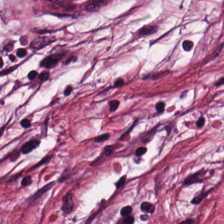Hematoxylin-and-eosin stained section — Histology — tumor stroma.
